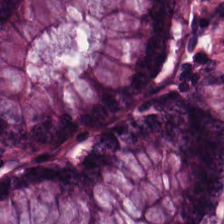Stain: hematoxylin and eosin.
Acquisition: brightfield.
Tissue: normal colonic mucosa.
